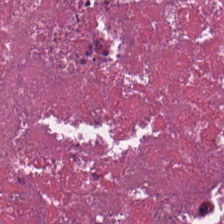This field is cellular debris.
